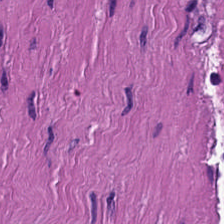H&E — Q: What tissue is shown?
A: It is smooth-muscle tissue.
